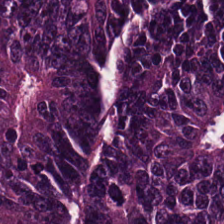Stain: H&E.
Tissue: tumor epithelium.
